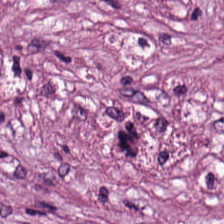H&E-stained tissue section · FFPE.
Tissue — cancer-associated stroma.
